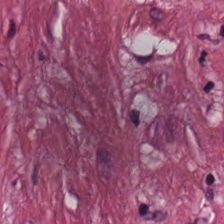H&E; 224×224 px tile.
The classification is tumor stroma.
